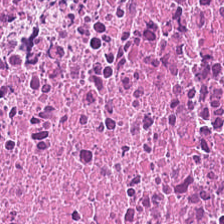0.5 µm/px; hematoxylin and eosin — Classification — debris.
